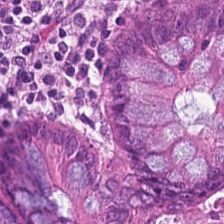{"tissue_type": "non-neoplastic colon mucosa"}
